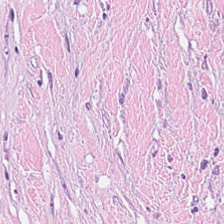The tissue type is tumor stroma.
